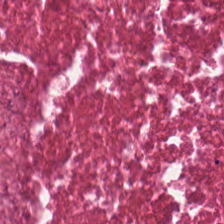Hematoxylin and eosin; WSI patch.
Q: Classify this patch.
A: This is necrotic debris.
